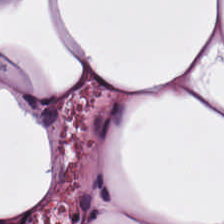H&E. Finding → fat tissue.
